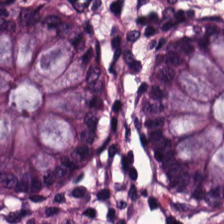Q: What tissue type is shown here?
A: It is non-neoplastic colon mucosa.
